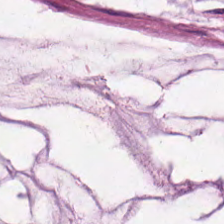Hematoxylin and eosin. Finding — extracellular mucin.
